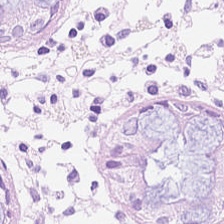Hematoxylin-and-eosin stained section. Brightfield microscopy. This field is non-neoplastic colon mucosa.
